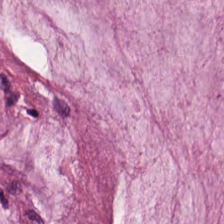224×224 px patch; H&E-stained tissue section; 20× equivalent magnification — {"tissue_type": "mucin"}
